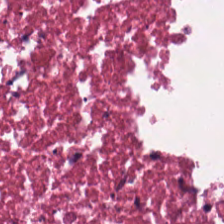Hematoxylin and eosin. The predominant tissue is cellular debris.
